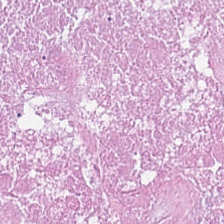FFPE · H&E-stained tissue section.
The predominant tissue is debris.
